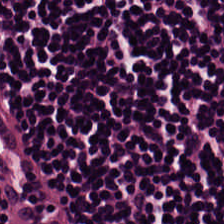H&E-stained tissue section. Predominantly lymphocyte aggregate.
